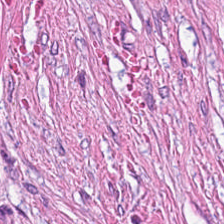0.5 microns per pixel; hematoxylin-and-eosin stained section; 224×224 pixel tile.
Predominant tissue = cancer-associated stroma.
